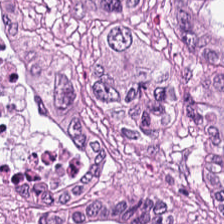224×224 px patch; brightfield; hematoxylin-and-eosin stained section — Classification: tumor epithelium.
